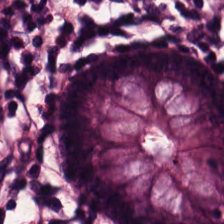Predominant tissue: normal colon mucosa.
